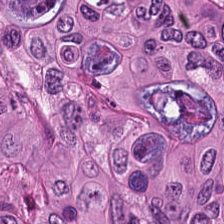H&E-stained tissue section.
Q: Identify the tissue.
A: It is colorectal adenocarcinoma.
